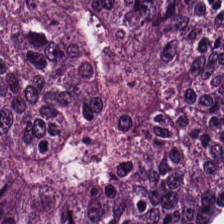224×224 px tile. H&E stain. The tissue here is colorectal adenocarcinoma epithelium.
